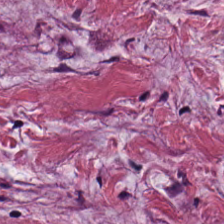H&E; 224×224 px patch; 0.5 microns per pixel — Tissue type = cancer-associated stroma.
